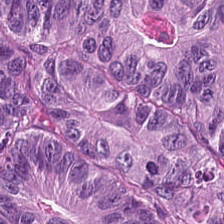H&E stain; 0.5 µm per pixel. Showing adenocarcinoma.
